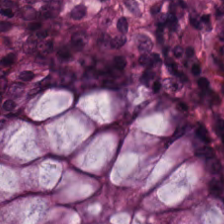H&E — Q: What tissue is shown?
A: This is benign colonic mucosa.
